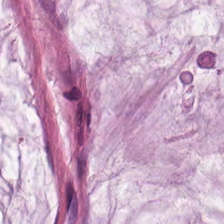Brightfield · hematoxylin-and-eosin stained section.
Q: What tissue is shown?
A: The field shows mucin.
